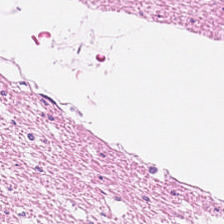Finding — smooth-muscle tissue.
